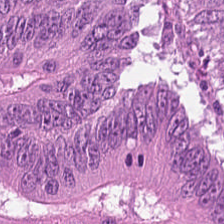Stain: hematoxylin and eosin.
Tissue: adenocarcinoma.
